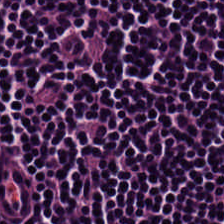Formalin-fixed paraffin-embedded section. Hematoxylin-and-eosin stained section — Predominantly lymphoid infiltrate.
